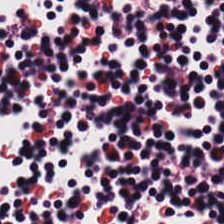H&E — This field is lymphocyte aggregate.
